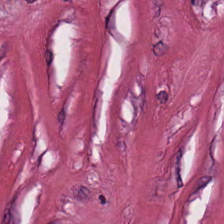FFPE tissue section · H&E-stained tissue section — This field is cancer-associated stroma.
